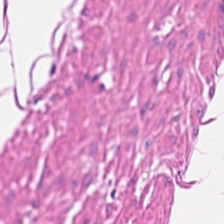Hematoxylin-and-eosin section: muscularis.
